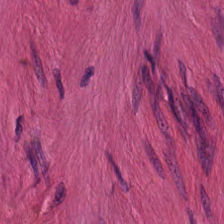20× equivalent magnification. H&E stain. FFPE tissue section — The tissue type is muscularis.
